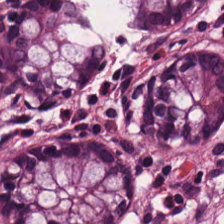Hematoxylin-and-eosin stained section. Formalin-fixed paraffin-embedded section — Q: Classify this patch.
A: It is normal colonic mucosa.
